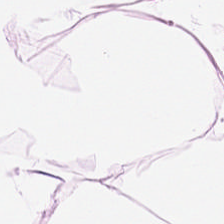Hematoxylin and eosin. This patch shows adipose tissue.
